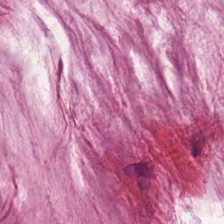Brightfield microscopy; FFPE; H&E-stained tissue section — The tissue here is extracellular mucin.
